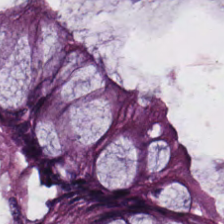Predominant tissue: benign colonic mucosa.
